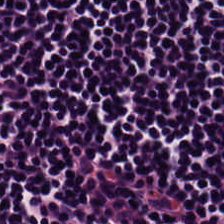Hematoxylin and eosin — This field is lymphoid infiltrate.
